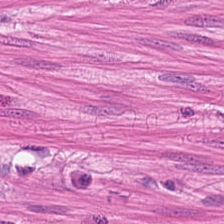This patch shows muscularis.
